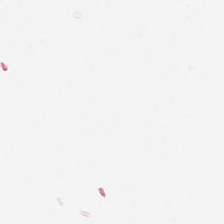Stain: hematoxylin-and-eosin stained section.
Acquisition: brightfield.
Content: background.
